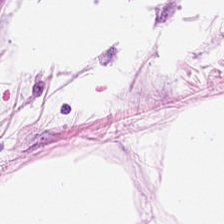H&E stain. This patch shows adipocytes.
